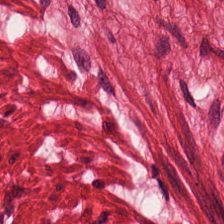Q: Identify the tissue.
A: Muscularis.
